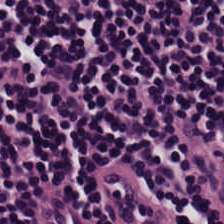H&E stain — Q: What type of tissue is this?
A: Lymphocytic infiltrate.
